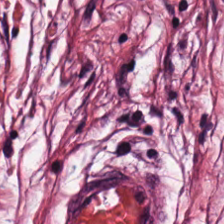Hematoxylin-and-eosin stained section — The tissue here is tumor-associated stroma.
